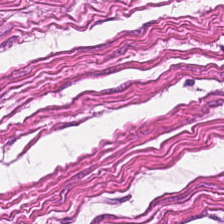Hematoxylin and eosin — Muscularis.
